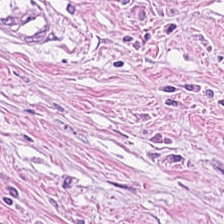H&E — This patch shows tumor stroma.
